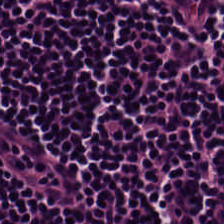H&E. FFPE — Tissue class — lymphocytes.
